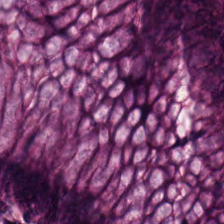Classification = non-neoplastic colon mucosa.
